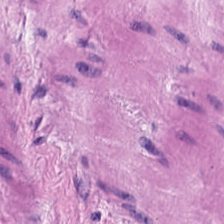224×224 pixel tile. Hematoxylin-and-eosin stained section. Q: Identify the tissue.
A: It is muscularis.
